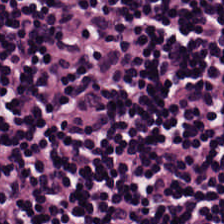H&E-stained tissue section.
Predominant tissue: lymphocyte aggregate.
